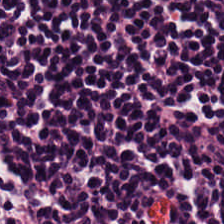Histology → lymphoid infiltrate.
